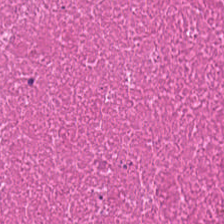Hematoxylin-and-eosin stained section — Q: What is shown in this field?
A: It is cellular debris.
